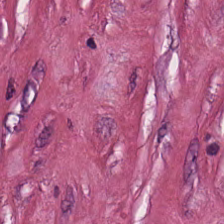224×224 pixel tile; 20× equivalent magnification; hematoxylin and eosin — Predominant tissue — tumor stroma.
